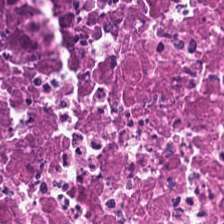Hematoxylin-and-eosin stained section. Cellular debris.
